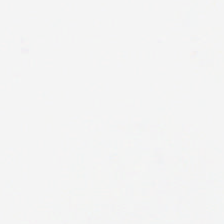Hematoxylin and eosin — Impression → background (no tissue).
